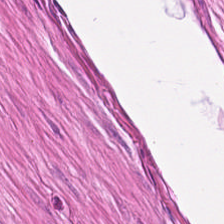The predominant tissue is muscularis.
